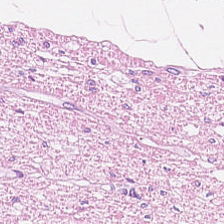Hematoxylin-and-eosin stained section — Predominant tissue: smooth-muscle tissue.
